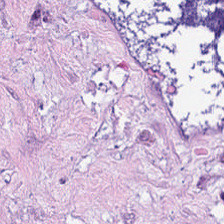Hematoxylin-and-eosin stained section; FFPE tissue section; 20× equivalent magnification.
Q: What tissue is shown?
A: This is tumor stroma.
